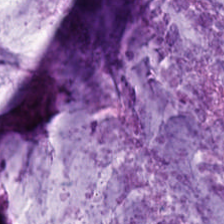H&E — Classification — mucin.
